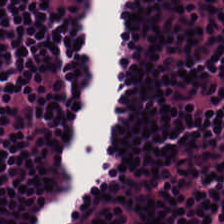Stain: hematoxylin-and-eosin stained section.
Tissue: lymphocytes.
